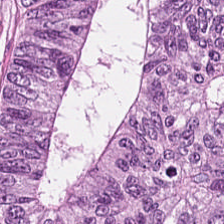H&E patch showing adenocarcinoma.
